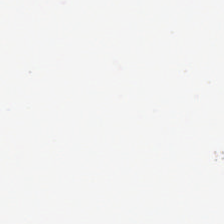Q: What is shown in this field?
A: Empty background.
